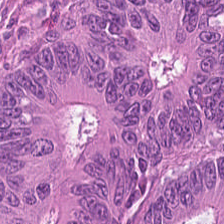H&E. Colorectal adenocarcinoma.
